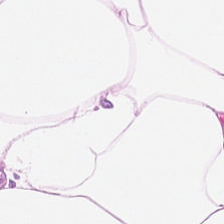Hematoxylin and eosin.
This field is adipocytes.
